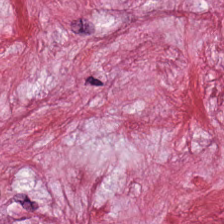Tissue type = tumor-associated stroma.
